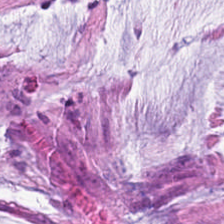The tissue type is mucin.
